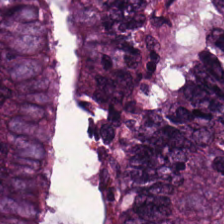H&E stain. Tissue: malignant epithelium.
